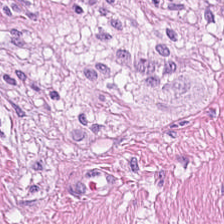H&E-stained tissue section. 0.5 µm/px. Tissue class = muscularis.
